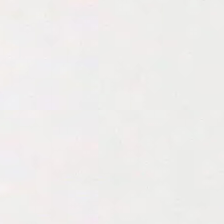0.5 microns per pixel · FFPE tissue section · hematoxylin and eosin. Field content: background.
